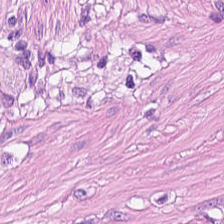Hematoxylin-and-eosin stained section. Muscularis.
